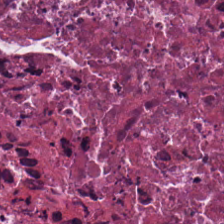H&E patch showing necrotic debris.
